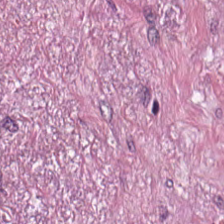Q: Classify this patch.
A: Tumor-associated stroma.
